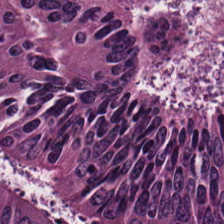Impression → colorectal adenocarcinoma.
